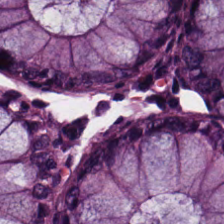H&E-stained tissue section. This field is non-neoplastic colon mucosa.
